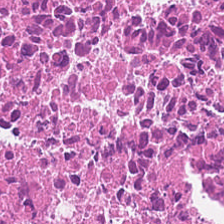Stain: H&E-stained tissue section.
Acquisition: brightfield microscopy.
Tissue type: cellular debris.
